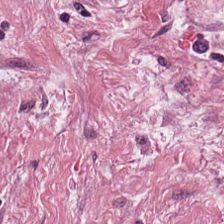Histology — tumor stroma.
